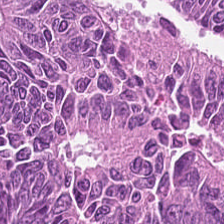Hematoxylin and eosin.
Tissue class = tumor epithelium.
